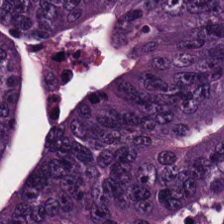H&E-stained tissue section; formalin-fixed paraffin-embedded section — Classification: colorectal adenocarcinoma epithelium.
